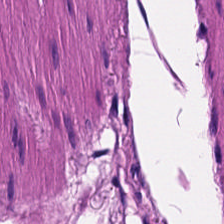H&E stain — Q: Classify this patch.
A: Smooth-muscle tissue.
